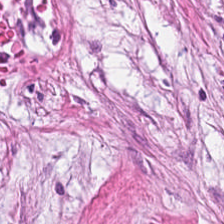WSI patch; H&E-stained tissue section — Tumor-associated stroma.
